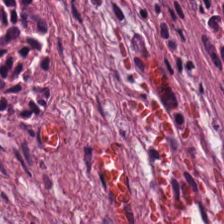This patch shows cancer-associated stroma.
